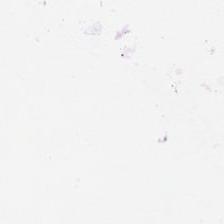Formalin-fixed paraffin-embedded section · H&E. Q: What does this patch show?
A: Background (no tissue).
